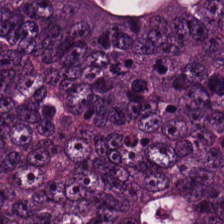Brightfield microscopy; 20× equivalent magnification; H&E. This patch shows adenocarcinoma.
